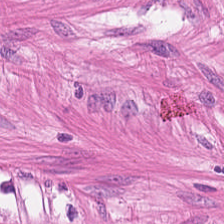0.5 microns per pixel · H&E-stained tissue section. Smooth-muscle tissue.
